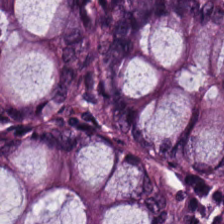Hematoxylin and eosin. WSI patch. 0.5 microns per pixel. Predominantly normal colon mucosa.
